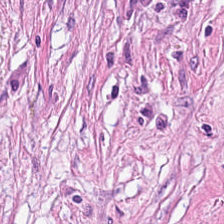Hematoxylin and eosin. 224×224 px patch. FFPE tissue section — Showing cancer-associated stroma.
